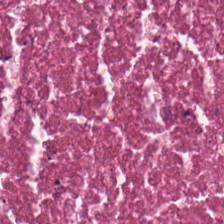Hematoxylin-and-eosin stained section; 224×224 pixel tile — {"tissue_type": "necrotic debris"}
